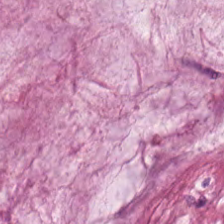H&E-stained tissue section. Showing mucin.
